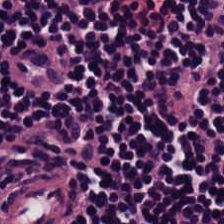Finding → lymphocytic infiltrate.
